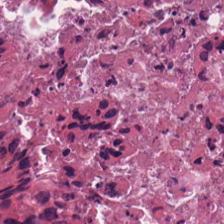WSI patch. Formalin-fixed paraffin-embedded section. H&E.
Q: What tissue is shown?
A: It is debris.
